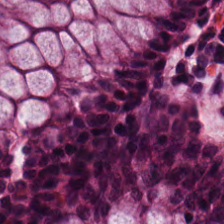Impression — non-neoplastic colon mucosa.
